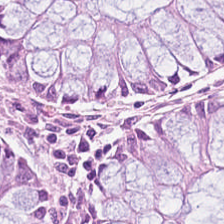H&E. This field is benign colonic mucosa.
